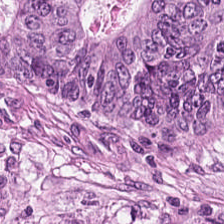Hematoxylin-and-eosin stained section.
Histology — colorectal adenocarcinoma.
